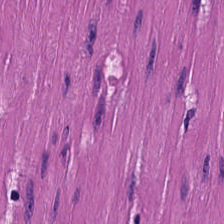224×224 pixel tile. H&E-stained tissue section. FFPE.
Tissue type — smooth muscle.
